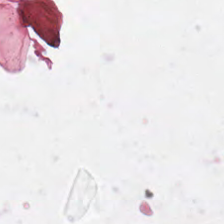Hematoxylin and eosin; formalin-fixed paraffin-embedded section; 20× equivalent magnification — This patch shows background (no tissue).
